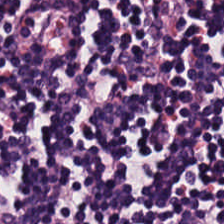H&E — The predominant tissue is lymphocytic infiltrate.
